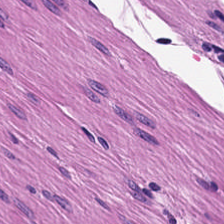Classification = smooth muscle.
